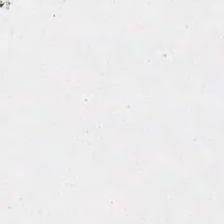H&E. This field is background (no tissue).
